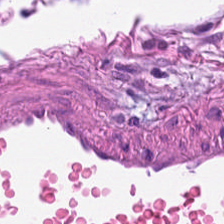Whole-slide-image patch. 224×224 px patch. H&E stain.
Q: What type of tissue is this?
A: The field shows muscularis.
